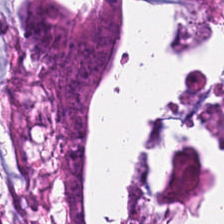Showing colorectal adenocarcinoma.
